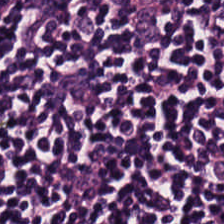Lymphocyte aggregate.
